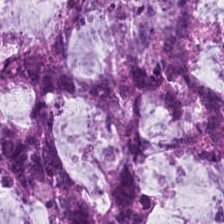Stain: H&E.
Preparation: formalin-fixed paraffin-embedded section.
Predominant tissue: mucin.
